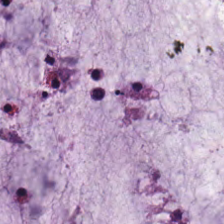H&E · FFPE.
The predominant tissue is mucin.
